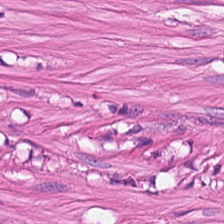H&E stain. Q: What is shown in this field?
A: It is muscularis.
